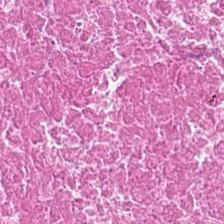Hematoxylin-and-eosin stained section — Impression — cellular debris.
